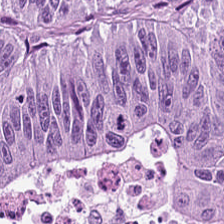Q: What tissue type is shown here?
A: The field shows colorectal adenocarcinoma.
